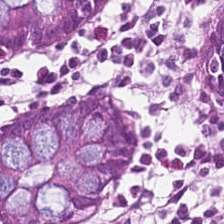224×224 pixel tile · hematoxylin-and-eosin stained section. This field is benign colonic mucosa.
